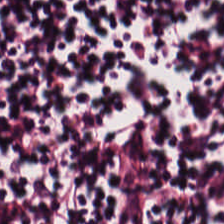Stain: hematoxylin and eosin.
Acquisition: brightfield.
Tissue class: lymphocytic infiltrate.
